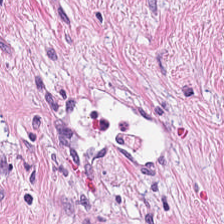H&E — Tissue — cancer-associated stroma.
